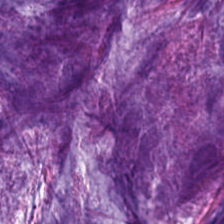Stain: H&E stain.
Tissue type: extracellular mucin.
